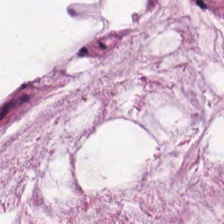H&E · 0.5 µm per pixel. This patch shows mucus.
